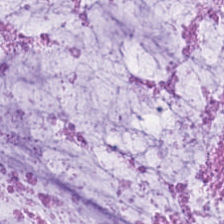Hematoxylin and eosin. Q: Identify the tissue.
A: The field shows extracellular mucin.
